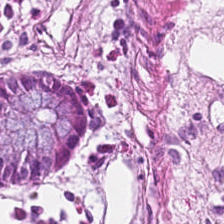H&E stain. This field is normal colon mucosa.
